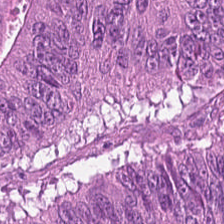224×224 px tile. Hematoxylin and eosin. {"tissue_type": "tumor epithelium"}
